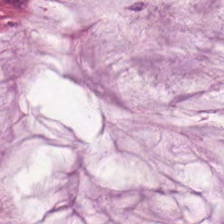224×224 px patch. H&E-stained tissue section — Showing extracellular mucin.
